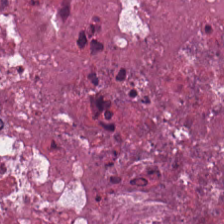H&E stain — The predominant tissue is debris.
